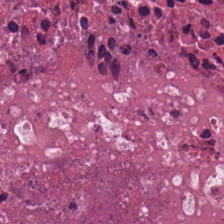Hematoxylin-and-eosin stained section.
Showing debris.
